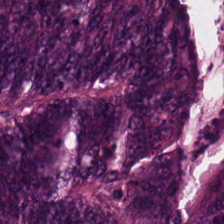Hematoxylin-and-eosin stained section — The tissue here is adenocarcinoma.
